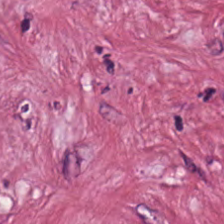Stain: hematoxylin and eosin.
Predominant tissue: tumor-associated stroma.
